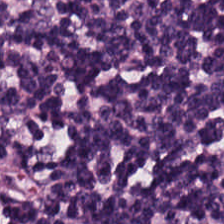Formalin-fixed paraffin-embedded section; H&E-stained tissue section.
Q: Classify this patch.
A: This is lymphocyte aggregate.
